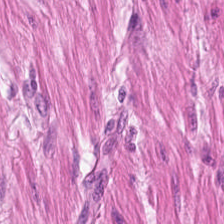Formalin-fixed paraffin-embedded section. 0.5 µm/px. H&E-stained tissue section.
Q: What tissue is shown?
A: The field shows smooth-muscle tissue.
